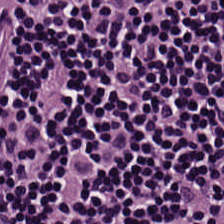Stain: H&E stain.
Tissue type: lymphocytes.
